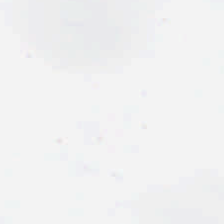Field content — no tissue.
